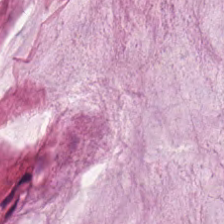H&E — The tissue here is mucus.
